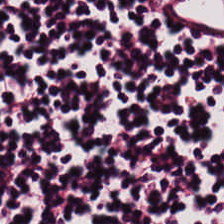H&E stain — {"tissue_type": "lymphocytic infiltrate"}
